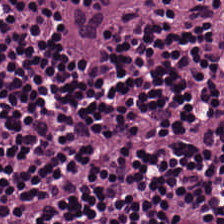H&E — Lymphoid infiltrate.
